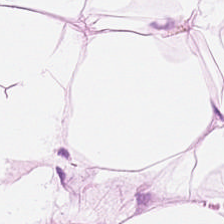0.5 µm/px. H&E-stained tissue section. Brightfield microscopy — Showing adipose.
